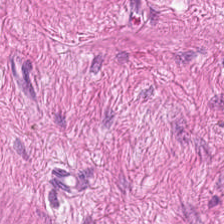Q: What is shown in this field?
A: The field shows smooth-muscle tissue.
